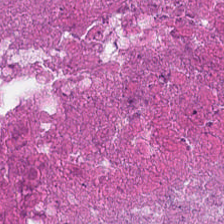Stain: hematoxylin-and-eosin stained section.
Preparation: formalin-fixed paraffin-embedded section.
Tissue type: debris.
